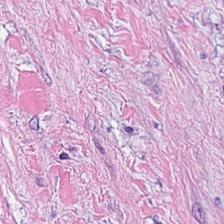FFPE; H&E stain.
This field is cancer-associated stroma.
